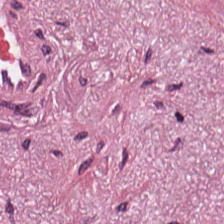H&E stain · 224×224 px patch · FFPE tissue section. Classification: cancer-associated stroma.
